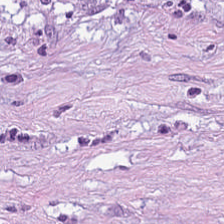Impression — tumor stroma.
